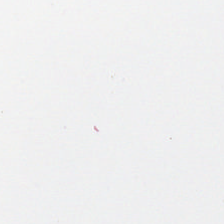H&E.
Field content: background (no tissue).
